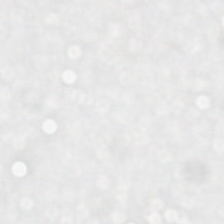Hematoxylin-and-eosin stained section. Q: What is shown here?
A: This is background.
